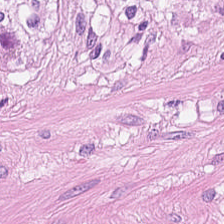H&E stain · 224×224 pixel tile. Showing muscularis.
